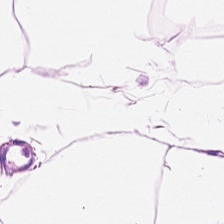H&E-stained tissue section. Fat tissue.
